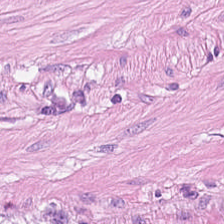H&E stain.
Q: Identify the tissue.
A: The field shows smooth-muscle tissue.
